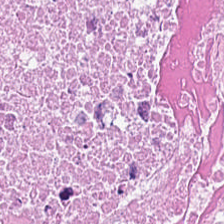Formalin-fixed paraffin-embedded section; WSI patch; H&E — Necrotic debris.
